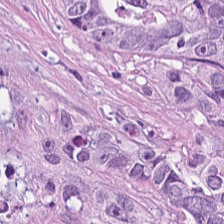FFPE. H&E — Q: What does this patch show?
A: This is tumor-associated stroma.
